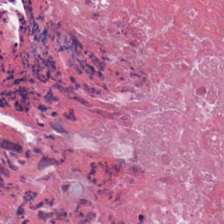Stain: H&E.
Tissue type: debris.
